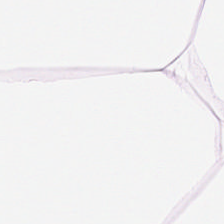Stain: H&E-stained tissue section.
Classification: fat tissue.
